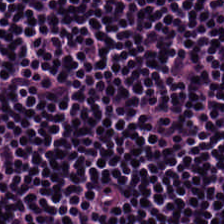Hematoxylin-and-eosin stained section. Lymphocytes.
